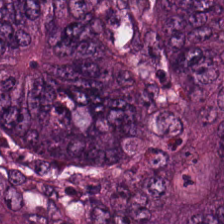224×224 px tile · hematoxylin-and-eosin stained section · whole-slide-image patch.
Showing tumor epithelium.
